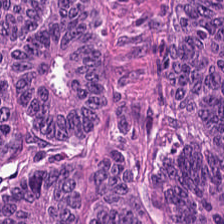H&E. Tissue = tumor epithelium.
